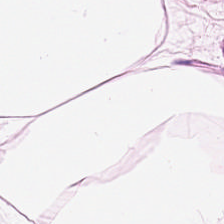Hematoxylin-and-eosin stained section; 20× equivalent magnification. Fat tissue.
